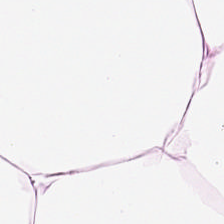H&E stain. 224×224 px tile. Formalin-fixed paraffin-embedded section — Showing fat tissue.
